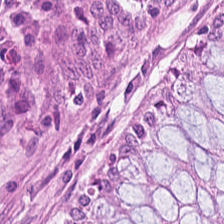Brightfield; H&E; 0.5 µm per pixel. This patch shows normal colonic mucosa.
